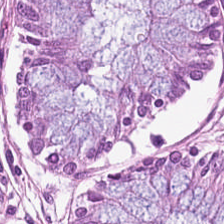FFPE tissue section · H&E stain. The tissue type is normal colonic mucosa.
